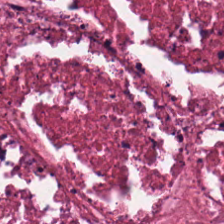Predominant tissue — cellular debris.
